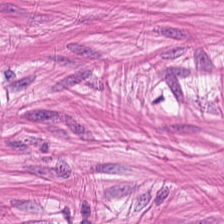H&E-stained tissue section.
This patch shows muscularis.
